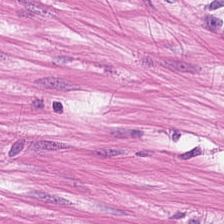Hematoxylin and eosin — Q: Classify this patch.
A: It is muscularis.
